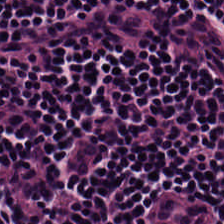This field is lymphocytes.
